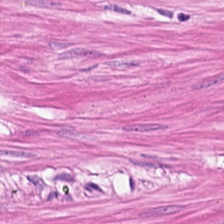H&E — The tissue class is muscularis.
